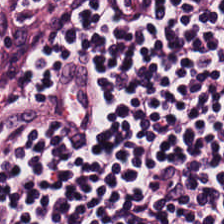Q: What is the predominant tissue type?
A: The field shows lymphoid infiltrate.
